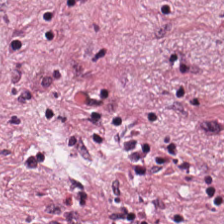Hematoxylin and eosin.
Desmoplastic stroma.
